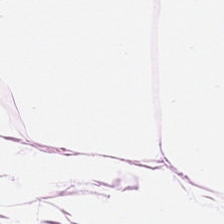FFPE tissue section · H&E · 224×224 px patch.
This field is adipose.
